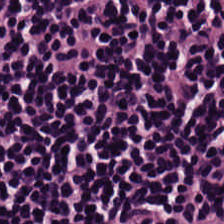224×224 px patch. Hematoxylin and eosin. 0.5 µm per pixel.
Histology → lymphoid infiltrate.
